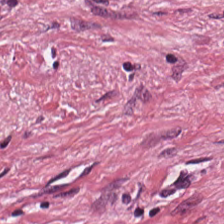Impression → tumor-associated stroma.
